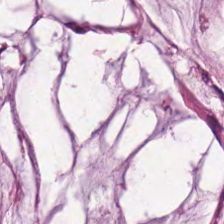H&E · FFPE · 0.5 µm/px — Tissue class: extracellular mucin.
